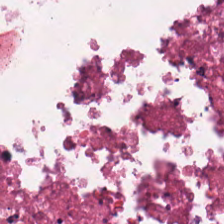H&E — Showing debris.
